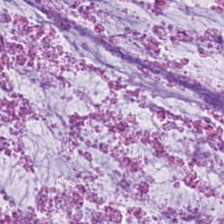Stain: H&E.
Tissue: mucus.
